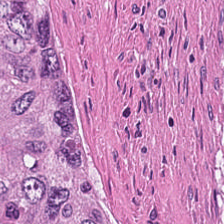Brightfield. H&E stain — This field is debris.
